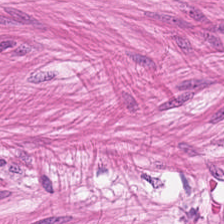Stain: H&E-stained tissue section.
Preparation: FFPE tissue section.
Resolution: 0.5 µm/px.
Classification: smooth muscle.
